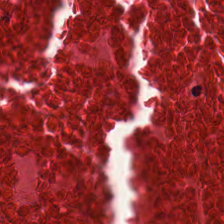Stain: H&E stain.
Tissue class: necrotic debris.
